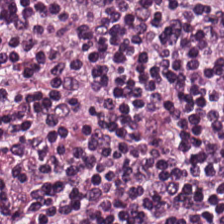Hematoxylin-and-eosin stained section — This patch shows lymphocytes.
